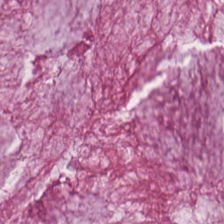Tissue type — extracellular mucin.
